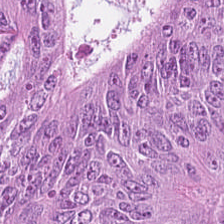H&E-stained tissue section showing adenocarcinoma.
